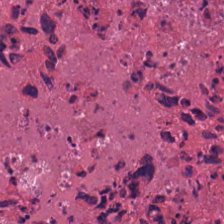224×224 px tile · hematoxylin and eosin · 20× equivalent magnification. Q: Classify this patch.
A: It is necrotic debris.
